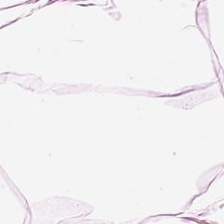Hematoxylin-and-eosin stained section — Q: Classify this patch.
A: Adipocytes.
